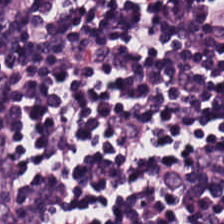Hematoxylin and eosin.
Showing lymphoid infiltrate.
